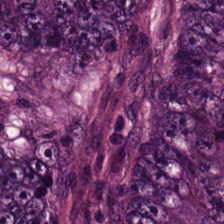Tissue — malignant epithelium.
